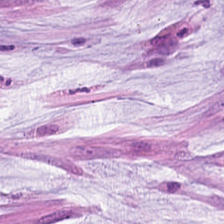H&E-stained tissue section · 0.5 µm per pixel — Q: Classify this patch.
A: Mucin.
